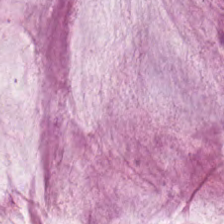0.5 µm/px; brightfield microscopy; hematoxylin-and-eosin stained section — Tissue class = extracellular mucin.
